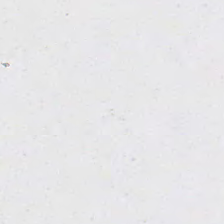H&E — This patch shows background.
